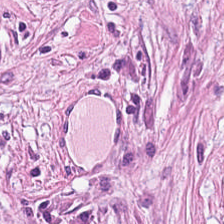H&E · 0.5 µm per pixel.
Tumor stroma.
